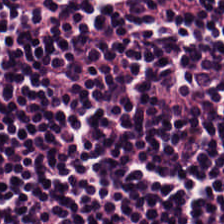0.5 microns per pixel. H&E-stained tissue section.
This patch shows lymphoid infiltrate.
